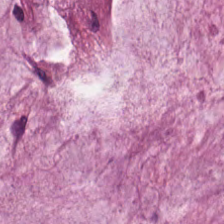H&E-stained tissue section. The predominant tissue is extracellular mucin.
